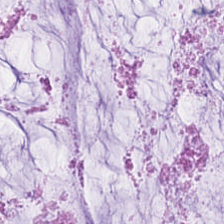Stain: H&E-stained tissue section.
Predominant tissue: mucus.
